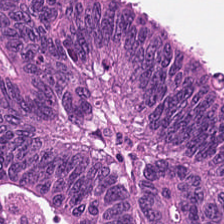0.5 microns per pixel. H&E — Tissue class = malignant epithelium.
